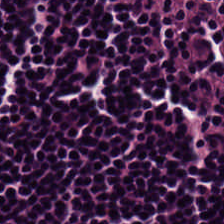H&E. Q: What does this patch show?
A: It is lymphocytic infiltrate.
